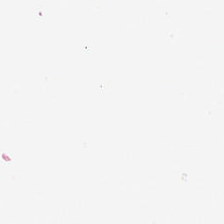H&E.
Q: What is shown in this field?
A: This is no tissue.
